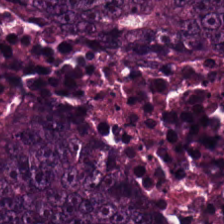Formalin-fixed paraffin-embedded section. Hematoxylin-and-eosin stained section. Predominantly colorectal adenocarcinoma epithelium.
